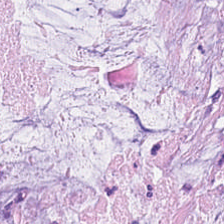Hematoxylin-and-eosin stained section — Finding — mucin.
